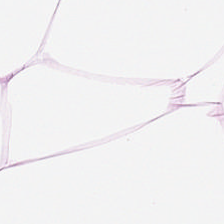H&E stain — {"tissue_type": "adipose tissue"}
